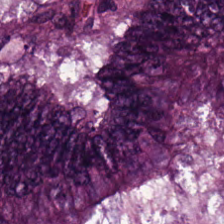Finding → malignant epithelium.
